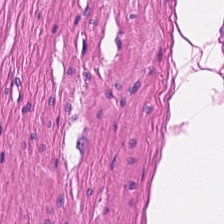H&E — Predominantly smooth muscle.
